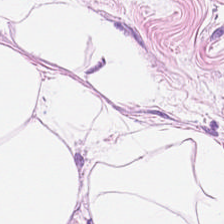Hematoxylin and eosin. This field is adipose tissue.
